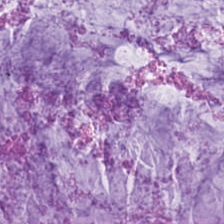Q: What type of tissue is this?
A: The field shows mucin.
